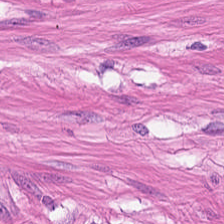This patch shows smooth-muscle tissue.
